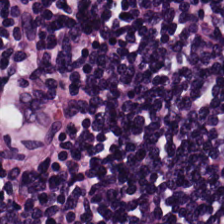H&E stain — This patch shows lymphocytes.
